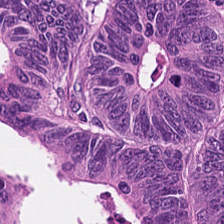Stain: hematoxylin and eosin.
Classification: colorectal adenocarcinoma epithelium.
